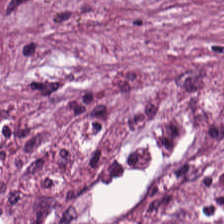Impression → cancer-associated stroma.
